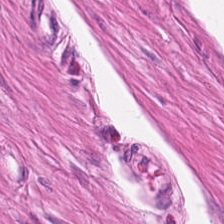The predominant tissue is muscularis.
